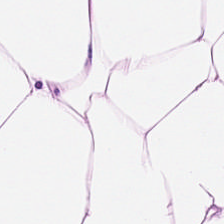Hematoxylin-and-eosin stained section.
The tissue here is adipose.
